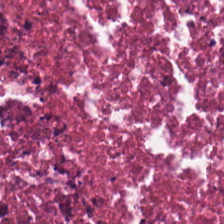H&E stain. Q: What is shown here?
A: This is debris.
